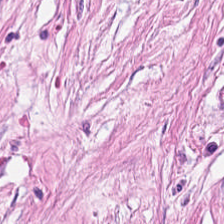H&E — desmoplastic stroma.
